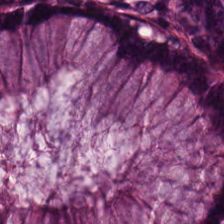Whole-slide-image patch. 224×224 pixel tile. H&E.
Predominantly benign colonic mucosa.
